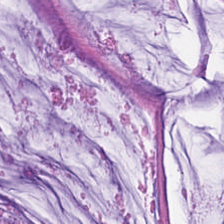H&E stain · 224×224 px tile · 0.5 µm/px — Classification: mucus.
